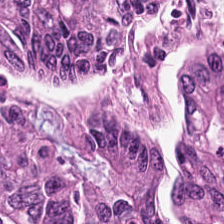Q: Identify the tissue.
A: The field shows tumor epithelium.
